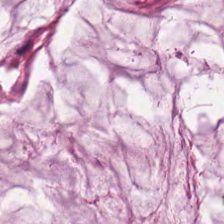0.5 µm/px; hematoxylin and eosin; 224×224 px tile.
Q: What tissue is shown?
A: It is mucin.
